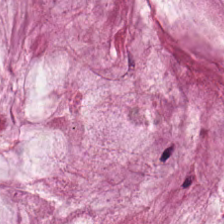Stain: H&E stain.
Classification: extracellular mucin.
